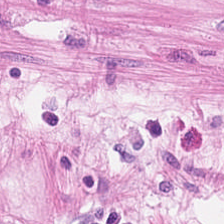Brightfield; H&E-stained tissue section — Histology → smooth-muscle tissue.
